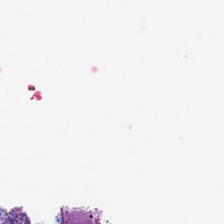224×224 px tile. H&E stain. Brightfield microscopy. No tissue present; background only.
